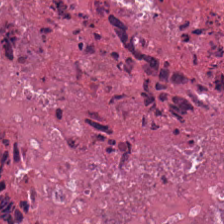Brightfield microscopy. H&E-stained tissue section. Showing debris.
